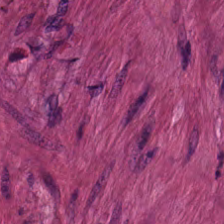0.5 µm per pixel. H&E. Q: What is the predominant tissue type?
A: Muscularis.
